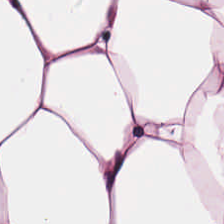Hematoxylin-and-eosin stained section — Q: What is the predominant tissue type?
A: The field shows adipose tissue.
